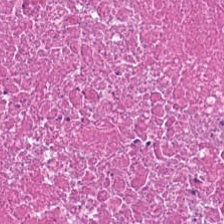0.5 microns per pixel. H&E stain. Finding → cellular debris.
